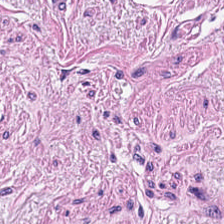H&E.
The predominant tissue is smooth muscle.
